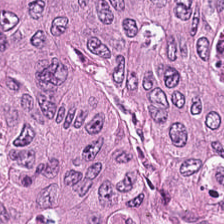H&E. 224×224 pixel tile.
Predominantly adenocarcinoma.
